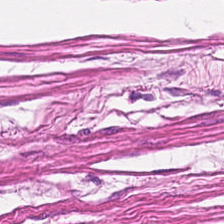224×224 pixel tile; H&E.
Predominantly smooth-muscle tissue.
